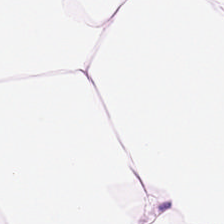H&E-stained tissue section; brightfield microscopy — Predominant tissue: adipose tissue.
